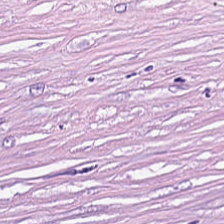FFPE tissue section · hematoxylin and eosin · 0.5 µm/px.
Q: Identify the tissue.
A: Tumor stroma.
